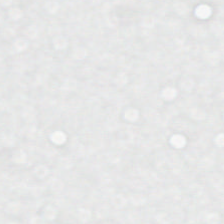No tissue present; background only.
